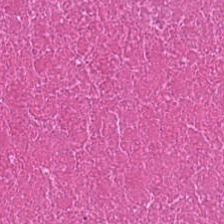Tissue class: cellular debris.
